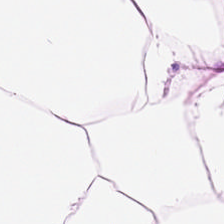H&E.
This field is adipose tissue.
